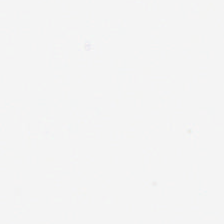Hematoxylin-and-eosin stained section. Background — no tissue in this field.
